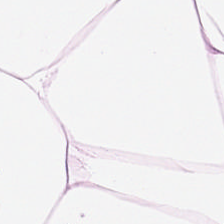Q: What is shown in this field?
A: It is fat tissue.
